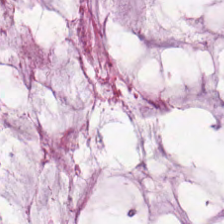Hematoxylin and eosin · FFPE tissue section.
Predominant tissue: extracellular mucin.
